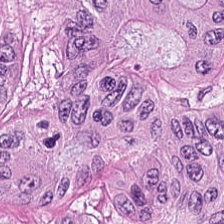The tissue here is adenocarcinoma.
